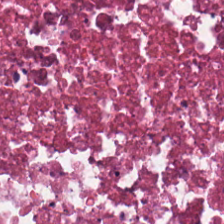FFPE · hematoxylin and eosin. Necrotic debris.
